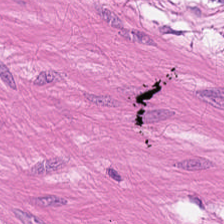H&E. The tissue here is muscularis.
